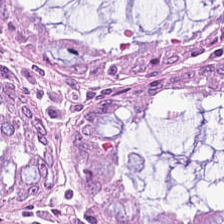Stain: H&E-stained tissue section.
Tissue type: normal colonic mucosa.
